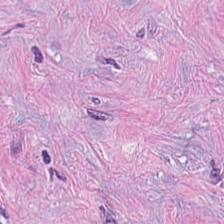Hematoxylin and eosin. Impression → desmoplastic stroma.
